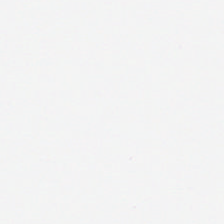Q: What is shown here?
A: This is background.
